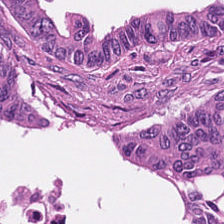H&E stain. Brightfield. The tissue class is adenocarcinoma.
